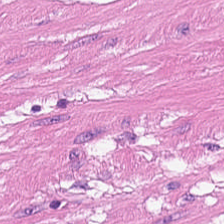Q: Identify the tissue.
A: The field shows smooth muscle.
